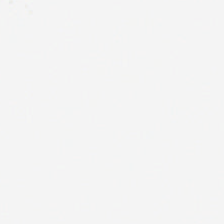Hematoxylin and eosin. Q: What is shown here?
A: Background.
